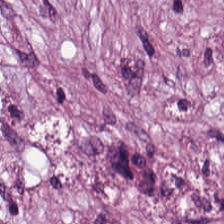20× equivalent magnification · H&E-stained tissue section · FFPE tissue section. Predominantly tumor-associated stroma.
